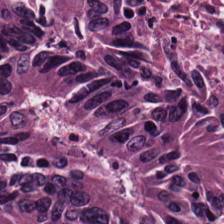Finding → colorectal adenocarcinoma.
